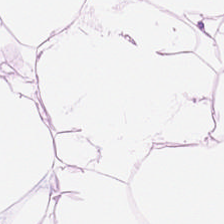Stain: H&E.
Acquisition: WSI patch.
Classification: adipocytes.
